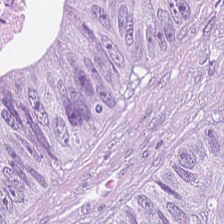H&E-stained tissue section. Predominant tissue = malignant epithelium.
